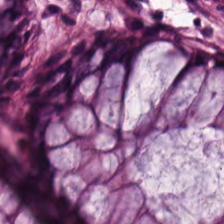224×224 px patch; 0.5 µm/px; H&E-stained tissue section. This field is normal colonic mucosa.
